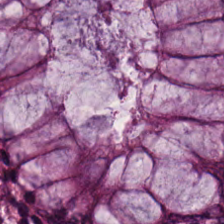0.5 microns per pixel. Hematoxylin and eosin. Showing benign colonic mucosa.
